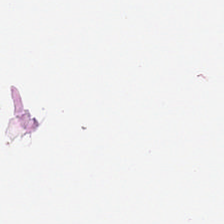H&E. Content — no tissue.
